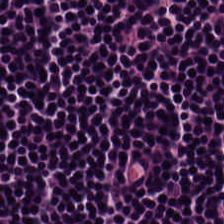{"tissue_type": "lymphocytic infiltrate"}
